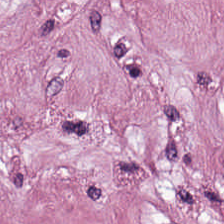H&E stain — Tissue — desmoplastic stroma.
